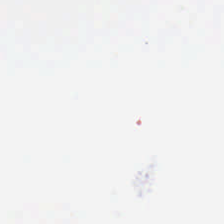H&E-stained tissue section; FFPE. {"content": "no tissue"}
